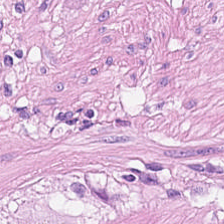H&E-stained tissue section. Impression → smooth muscle.
